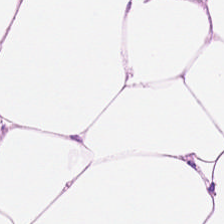Predominant tissue: adipose.
